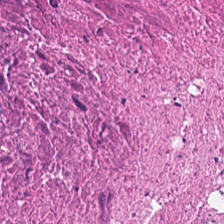H&E-stained tissue section · FFPE tissue section.
This field is debris.
